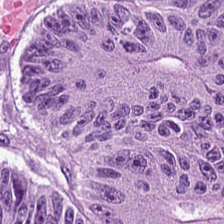Brightfield. H&E-stained tissue section. 224×224 px patch.
This field is colorectal adenocarcinoma.
